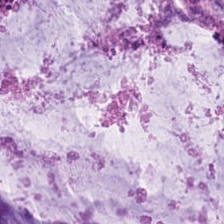H&E-stained tissue section showing mucus.
